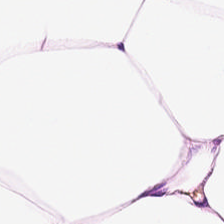Hematoxylin and eosin. 0.5 microns per pixel. Brightfield. Histology — fat tissue.
